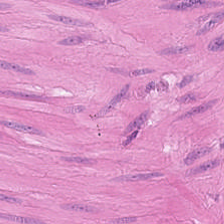Hematoxylin and eosin; 0.5 µm/px; brightfield. The predominant tissue is muscularis.
